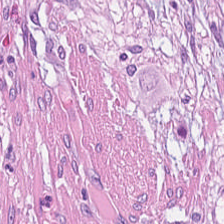Stain: H&E-stained tissue section.
Tissue class: tumor stroma.
